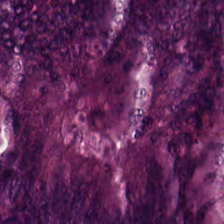H&E — Histology — colorectal adenocarcinoma epithelium.
